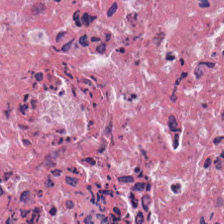Hematoxylin and eosin. Q: What does this patch show?
A: This is necrotic debris.
